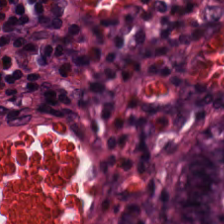Hematoxylin-and-eosin stained section. The tissue here is normal colon mucosa.
